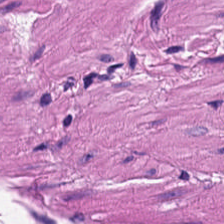H&E — Showing muscularis.
